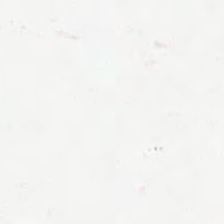Hematoxylin and eosin. No tissue present; background only.
